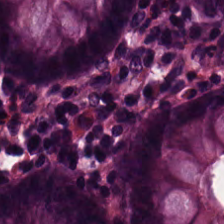Hematoxylin and eosin.
Classification = normal colon mucosa.
